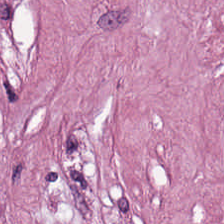Hematoxylin-and-eosin stained section.
This field is tumor stroma.
